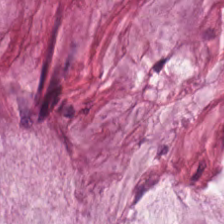H&E-stained tissue section — Q: What type of tissue is this?
A: It is mucus.
